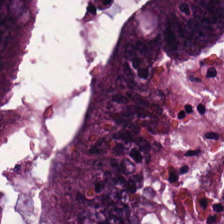Predominant tissue — colorectal adenocarcinoma.
